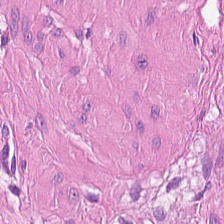Formalin-fixed paraffin-embedded section. H&E-stained tissue section. This field is muscularis.
